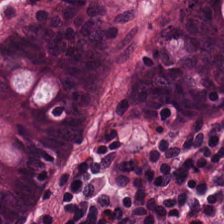H&E-stained tissue section. The tissue class is non-neoplastic colon mucosa.
